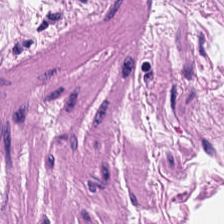Stain: hematoxylin and eosin.
Tile size: 224×224 px patch.
Acquisition: WSI patch.
Tissue type: muscularis.
